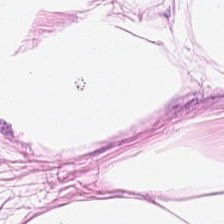Hematoxylin-and-eosin section: adipocytes.
